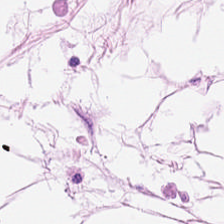Stain: hematoxylin and eosin.
Tissue type: fat tissue.
